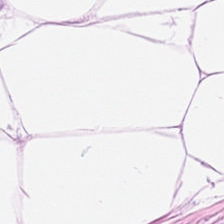H&E-stained tissue section. Tissue type = fat tissue.
